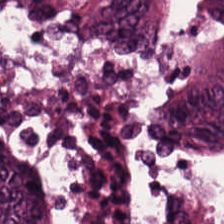The predominant tissue is tumor epithelium.
